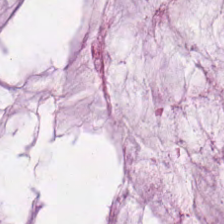0.5 microns per pixel; 224×224 px tile; H&E-stained tissue section. {"tissue_type": "mucin"}
